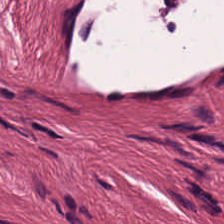Hematoxylin and eosin.
Q: What does this patch show?
A: It is tumor-associated stroma.
